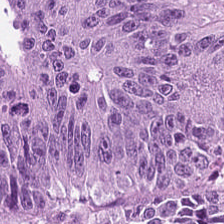H&E-stained tissue section — Q: What is shown in this field?
A: It is malignant epithelium.
